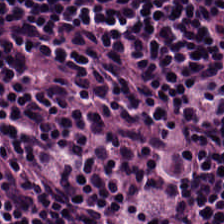20× equivalent magnification. FFPE tissue section. H&E-stained tissue section. Lymphocytes.
